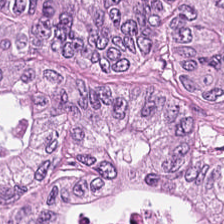20× equivalent magnification · H&E.
Predominant tissue = colorectal adenocarcinoma epithelium.
